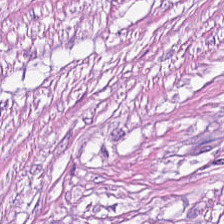Stain: H&E stain.
Tissue: cancer-associated stroma.
